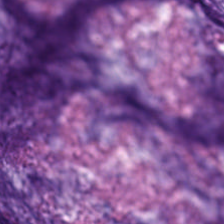Hematoxylin and eosin. FFPE.
Predominantly mucus.
